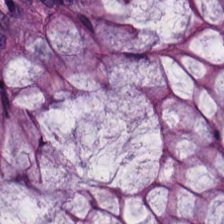Hematoxylin-and-eosin stained section.
Showing benign colonic mucosa.
